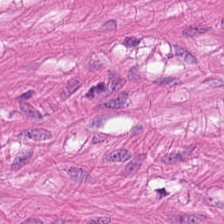Stain: H&E.
Tile size: 224×224 px tile.
Tissue: smooth muscle.
